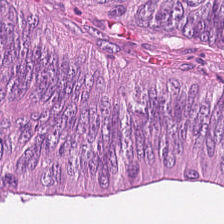The tissue here is tumor epithelium.
